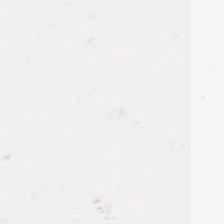20× equivalent magnification. Hematoxylin-and-eosin stained section — No tissue present; background only.
